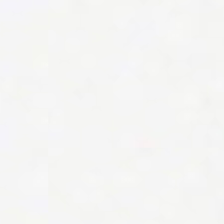Stain: hematoxylin and eosin.
Classification: background (no tissue).
